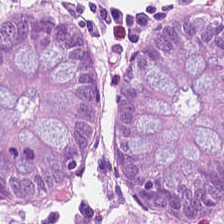Predominantly non-neoplastic colon mucosa.
